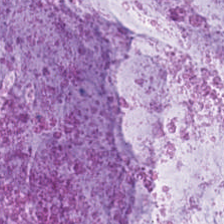Brightfield. H&E. 224×224 pixel tile.
Predominantly extracellular mucin.
